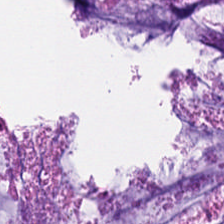H&E. Predominant tissue = extracellular mucin.
